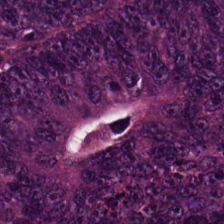FFPE. H&E stain. 224×224 px tile. The tissue type is tumor epithelium.
